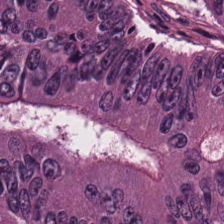Stain: H&E stain.
Classification: tumor epithelium.
